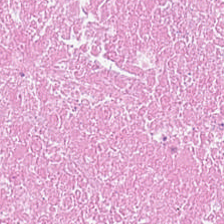Hematoxylin and eosin.
Tissue: debris.
